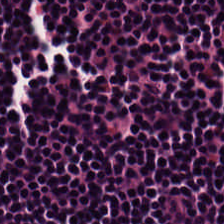Whole-slide-image patch; 0.5 µm per pixel; H&E. This field is lymphocyte aggregate.
